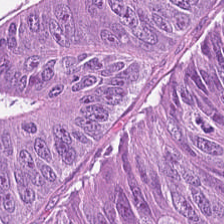Formalin-fixed paraffin-embedded section; hematoxylin and eosin; 0.5 µm/px — Showing malignant epithelium.
